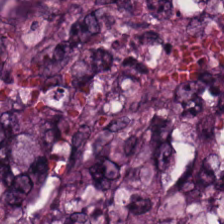H&E-stained tissue section. 224×224 px patch. FFPE. {"tissue_type": "colorectal adenocarcinoma epithelium"}
